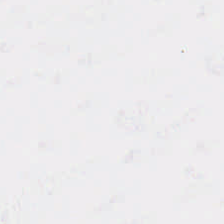Hematoxylin and eosin. Background — no tissue in this field.
